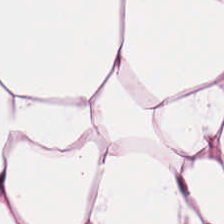H&E stain. Tissue type — adipose.
